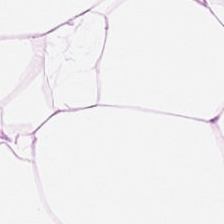H&E-stained tissue section.
Q: What tissue is shown?
A: Adipose.
